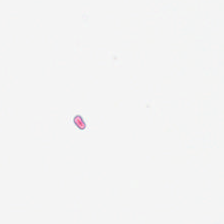Hematoxylin-and-eosin stained section — This patch shows background (no tissue).
